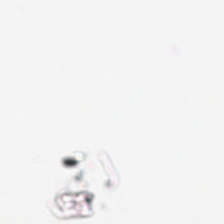Hematoxylin and eosin. Classification — empty background.
